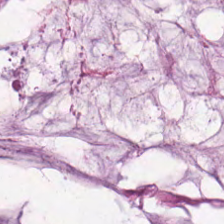H&E stain.
Tissue type — mucin.
